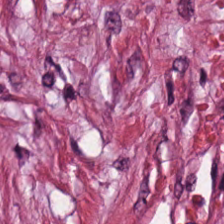H&E stain.
{"tissue_type": "desmoplastic stroma"}
